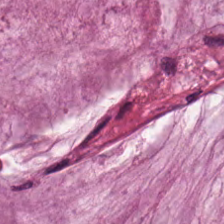H&E. Formalin-fixed paraffin-embedded section. This patch shows mucin.
